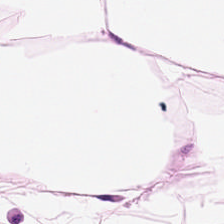H&E; 224×224 px patch; 0.5 microns per pixel. Histology — adipose tissue.
